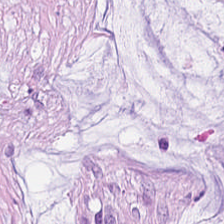H&E.
Q: What does this patch show?
A: This is mucus.
